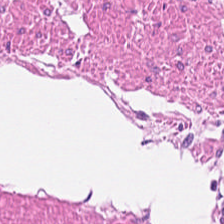Hematoxylin-and-eosin stained section.
The tissue here is muscularis.
